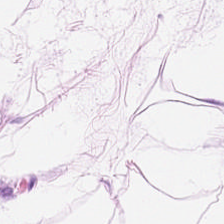Adipocytes.
